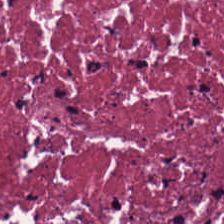H&E stain.
This field is cellular debris.
